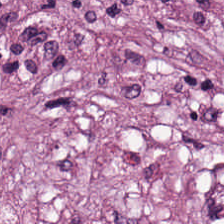H&E-stained tissue section; formalin-fixed paraffin-embedded section; 224×224 px tile — Showing cancer-associated stroma.
